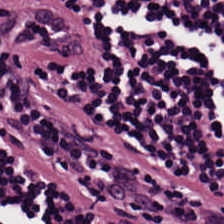This patch shows lymphocyte aggregate.
